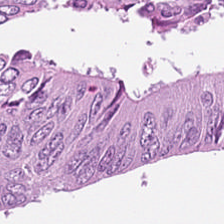H&E stain. Q: What does this patch show?
A: This is malignant epithelium.
